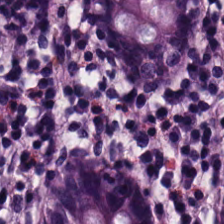{"tissue_type": "non-neoplastic colon mucosa"}
